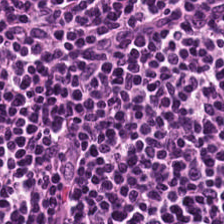H&E stain. 224×224 pixel tile.
The tissue here is lymphocyte aggregate.
